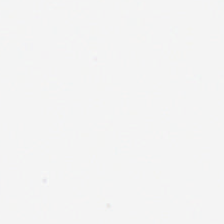Stain: H&E-stained tissue section.
Field content: background (no tissue).
